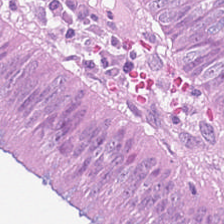H&E-stained tissue section — Tissue type — malignant epithelium.
